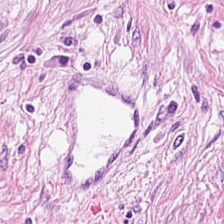Q: Classify this patch.
A: The field shows tumor-associated stroma.
